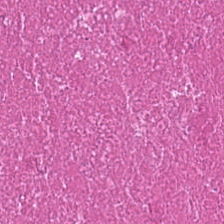This field is debris.
